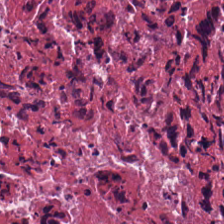Hematoxylin-and-eosin stained section. 224×224 px tile. The tissue class is debris.
